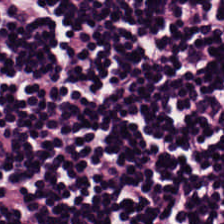H&E — lymphocyte aggregate.
